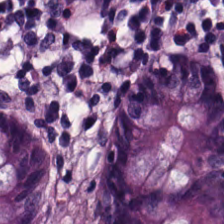Hematoxylin and eosin. Finding — normal colonic mucosa.
